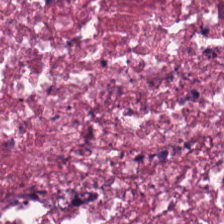H&E-stained tissue section; 224×224 px tile. Showing debris.
